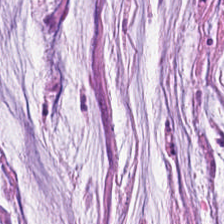Q: What is shown in this field?
A: Mucus.
